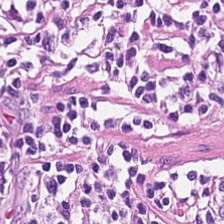FFPE · hematoxylin-and-eosin stained section.
Tissue = lymphocytic infiltrate.
